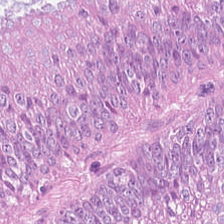H&E-stained tissue section. 224×224 px patch. Q: What is shown here?
A: This is colorectal adenocarcinoma.
